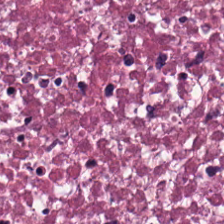{"tissue_type": "necrotic debris"}
